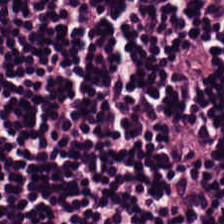Hematoxylin-and-eosin stained section. Brightfield.
Lymphoid infiltrate.
